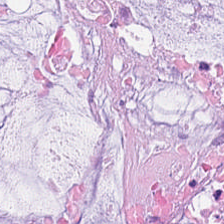Showing mucin.
